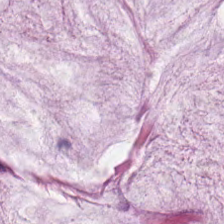FFPE; hematoxylin and eosin — The tissue class is mucin.
